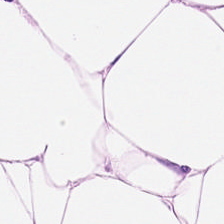Hematoxylin and eosin. 224×224 pixel tile — {"tissue_type": "adipocytes"}
